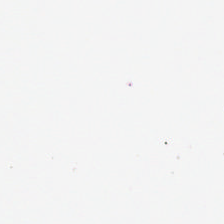Formalin-fixed paraffin-embedded section · H&E-stained tissue section.
No tissue present; background only.
